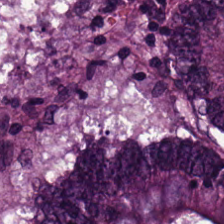Hematoxylin and eosin; 224×224 pixel tile; WSI patch.
This field is colorectal adenocarcinoma.
